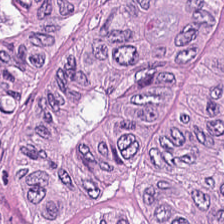Whole-slide-image patch. Hematoxylin and eosin. Q: Identify the tissue.
A: Colorectal adenocarcinoma epithelium.
